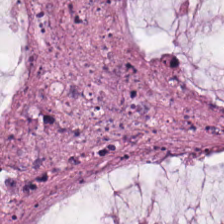H&E-stained tissue section · 0.5 microns per pixel — Q: What does this patch show?
A: The field shows mucin.
